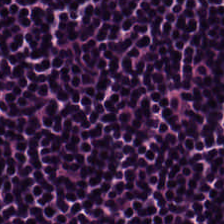Stain: H&E stain.
Tissue type: lymphoid infiltrate.
